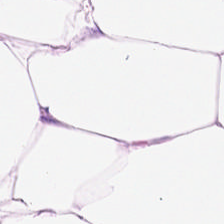H&E.
Tissue: adipose.
